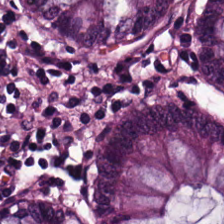Q: What is shown here?
A: Normal colonic mucosa.
